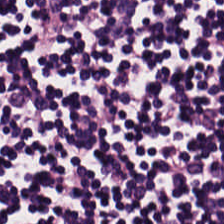224×224 px tile. Hematoxylin-and-eosin stained section.
Q: What does this patch show?
A: This is lymphocyte aggregate.
